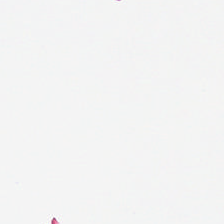The classification is background (no tissue).
